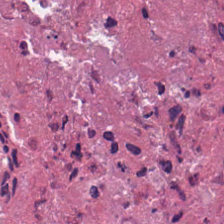Tissue: cellular debris.
